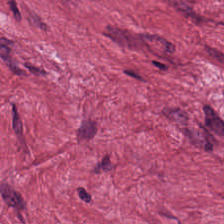224×224 px patch. H&E stain.
This field is cancer-associated stroma.
